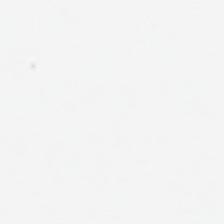224×224 pixel tile. H&E stain.
Content = background (no tissue).
